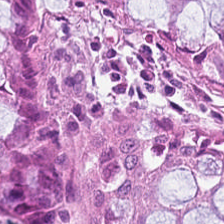Stain: H&E stain.
Acquisition: brightfield.
Tile size: 224×224 px tile.
Tissue type: normal colon mucosa.
